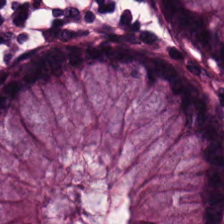The tissue is normal colon mucosa.
